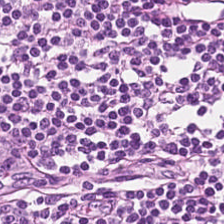Hematoxylin and eosin · FFPE. Showing lymphocyte aggregate.
